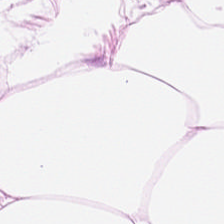H&E-stained tissue section.
The predominant tissue is adipose.
